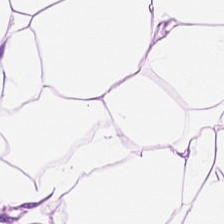Predominant tissue: adipose.
